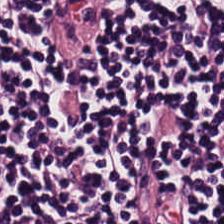H&E.
This field is lymphocyte aggregate.
